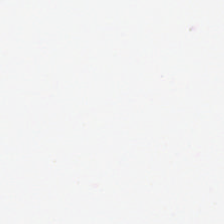H&E; FFPE; 0.5 microns per pixel — Q: What does this patch show?
A: Background (no tissue).
